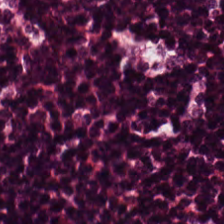Hematoxylin and eosin — Tissue — lymphocyte aggregate.
